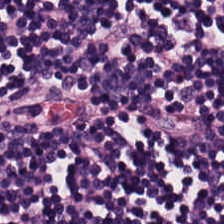Hematoxylin and eosin. Whole-slide-image patch — Q: What is shown in this field?
A: Lymphocyte aggregate.
